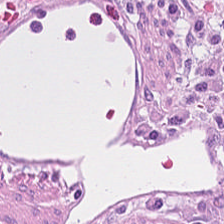224×224 px tile; hematoxylin-and-eosin stained section. The tissue here is cancer-associated stroma.
